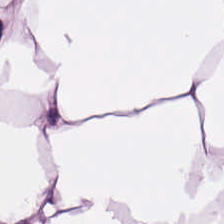Hematoxylin-and-eosin stained section. Adipose tissue.
